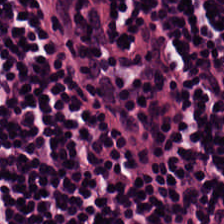Stain: H&E-stained tissue section.
Resolution: 0.5 µm per pixel.
Tile size: 224×224 px tile.
Tissue: lymphocytic infiltrate.
